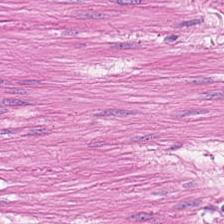FFPE tissue section; whole-slide-image patch; H&E-stained tissue section — The classification is muscularis.
